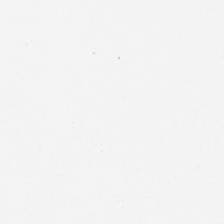H&E-stained tissue section. FFPE. 224×224 px tile.
Background — no tissue in this field.
